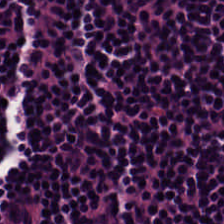H&E-stained tissue section; WSI patch — Predominant tissue = lymphocytes.
